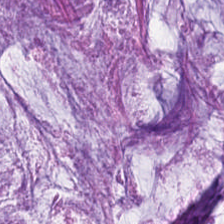Stain: hematoxylin-and-eosin stained section.
Classification: mucin.
